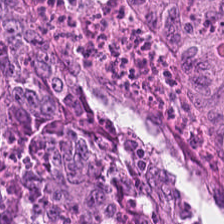{"tissue_type": "colorectal adenocarcinoma epithelium"}
